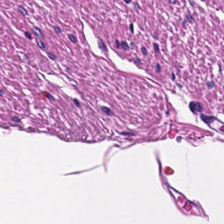H&E patch showing muscularis.
